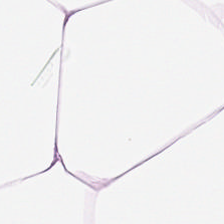Stain: hematoxylin-and-eosin stained section.
Predominant tissue: adipose tissue.
